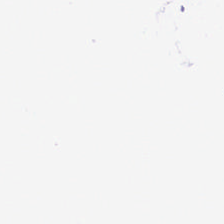Formalin-fixed paraffin-embedded section. H&E-stained tissue section.
This patch shows empty background.
